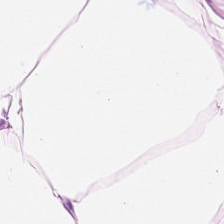0.5 µm per pixel. H&E-stained tissue section.
Impression — adipocytes.
